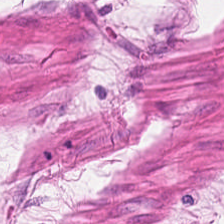H&E-stained tissue section.
Predominant tissue = smooth-muscle tissue.
